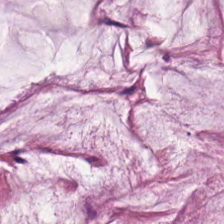{"tissue_type": "extracellular mucin"}
